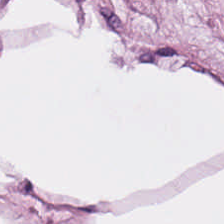Stain: H&E stain.
Tissue class: adipocytes.
